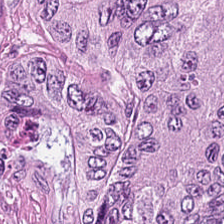Stain: hematoxylin-and-eosin stained section.
Tissue type: tumor epithelium.
